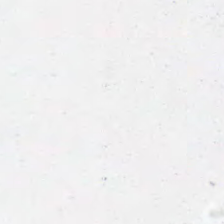224×224 px tile. H&E stain.
Impression — background (no tissue).
